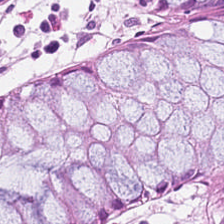Stain: H&E-stained tissue section.
Tissue class: normal colon mucosa.
